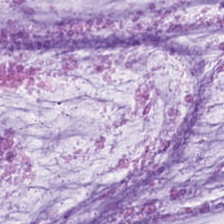Stain: hematoxylin-and-eosin stained section.
Tissue: mucus.
